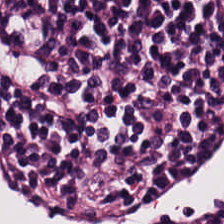H&E patch showing lymphocytes.
